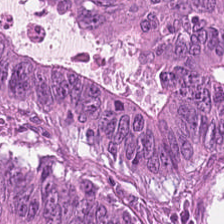Stain: hematoxylin-and-eosin stained section.
Tissue type: tumor epithelium.
